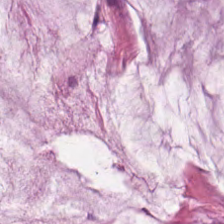Hematoxylin and eosin. The predominant tissue is mucin.
